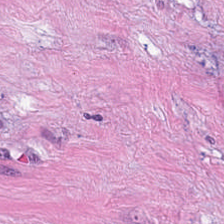H&E. The predominant tissue is desmoplastic stroma.
